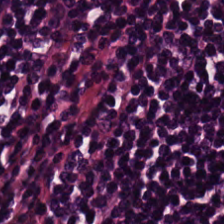Hematoxylin-and-eosin stained section.
Histology — lymphocytes.
